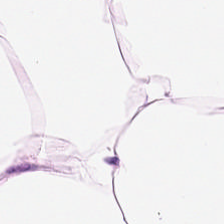224×224 pixel tile; hematoxylin-and-eosin stained section — Showing adipose.
